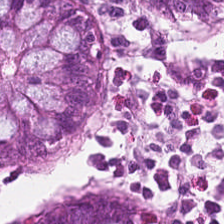H&E-stained tissue section. This patch shows non-neoplastic colon mucosa.
